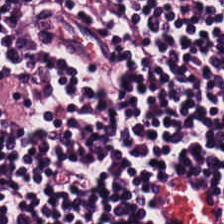Hematoxylin and eosin. The tissue is lymphocytic infiltrate.
